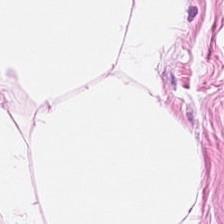H&E stain; 224×224 pixel tile; whole-slide-image patch.
The tissue is adipocytes.
